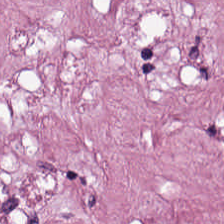0.5 µm per pixel; H&E stain; 224×224 px tile — Tissue type = tumor-associated stroma.
